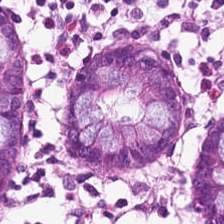Impression → normal colon mucosa.
